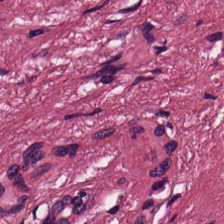Tissue type — tumor stroma.
